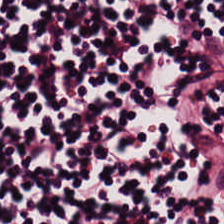Stain: H&E-stained tissue section.
Classification: lymphoid infiltrate.
